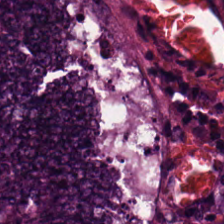224×224 pixel tile. 0.5 microns per pixel. H&E.
The tissue type is colorectal adenocarcinoma epithelium.
